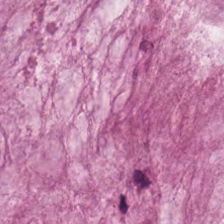Hematoxylin-and-eosin section: mucus.
